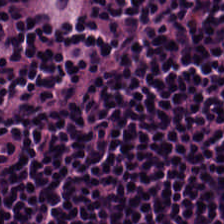Hematoxylin and eosin — This patch shows lymphoid infiltrate.
